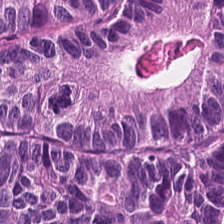224×224 px patch. FFPE tissue section. H&E-stained tissue section. This field is colorectal adenocarcinoma.
